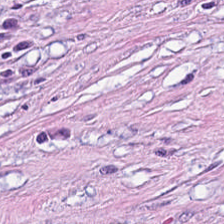H&E. Predominantly desmoplastic stroma.
